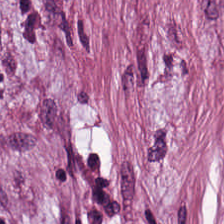0.5 µm/px; brightfield microscopy; hematoxylin and eosin — Tissue type — desmoplastic stroma.
